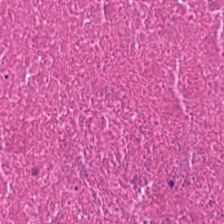H&E-stained tissue section; brightfield microscopy — Q: What is shown in this field?
A: It is necrotic debris.
